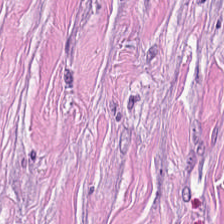Tissue class = tumor stroma.
